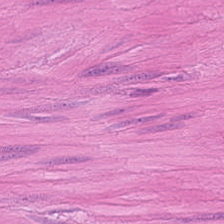H&E stain. Histology → smooth-muscle tissue.
